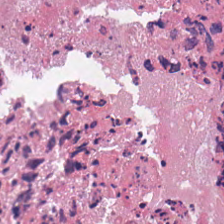H&E-stained tissue section.
{"tissue_type": "debris"}
